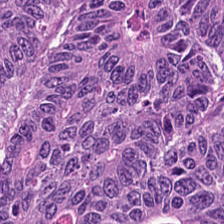Hematoxylin-and-eosin stained section. This field is malignant epithelium.
